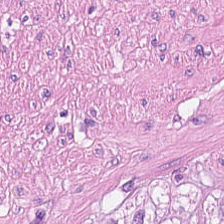Hematoxylin-and-eosin stained section.
Tissue = muscularis.
